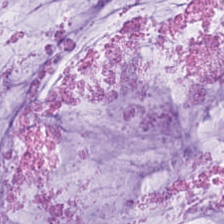H&E-stained tissue section. Q: What is shown in this field?
A: This is mucin.
